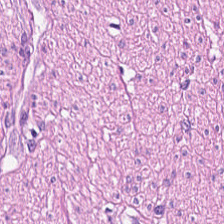H&E stain. Predominant tissue = smooth muscle.
